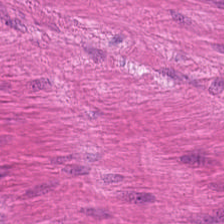Smooth-muscle tissue.
